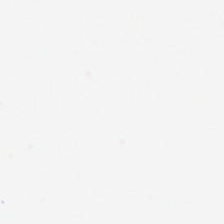H&E stain — This field is background (no tissue).
